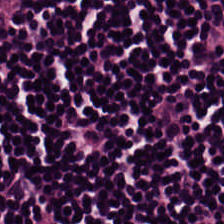H&E stain — Predominantly lymphocytes.
